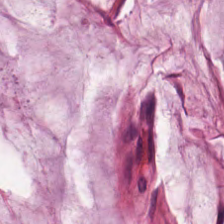FFPE tissue section; hematoxylin and eosin.
Impression — mucus.
